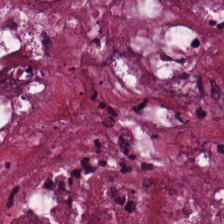H&E — necrotic debris.
